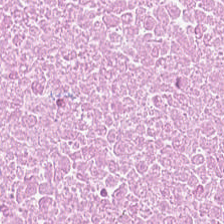The tissue class is debris.
